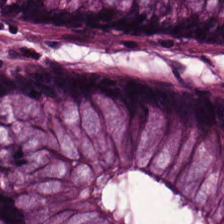Normal colon mucosa.
